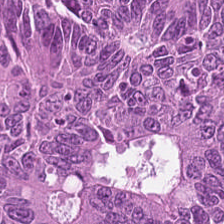Q: What tissue is shown?
A: This is malignant epithelium.
